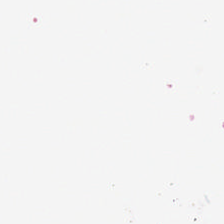No tissue present; background only.
